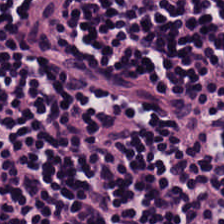0.5 µm/px. Hematoxylin and eosin. Classification — lymphocytes.
